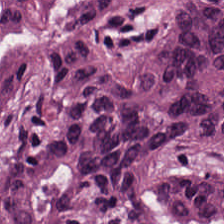0.5 µm/px; H&E stain — Impression — colorectal adenocarcinoma.
